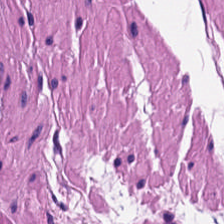H&E stain. Formalin-fixed paraffin-embedded section — Q: What does this patch show?
A: The field shows smooth-muscle tissue.
